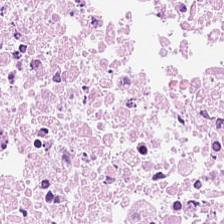H&E-stained tissue section.
Finding → cellular debris.
